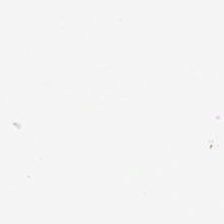Hematoxylin and eosin. Field content: no tissue.
